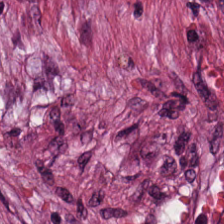Hematoxylin and eosin. 0.5 µm per pixel. 224×224 px patch. Predominantly tumor stroma.
